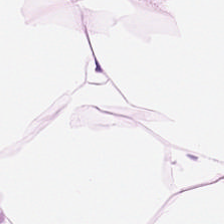FFPE tissue section · WSI patch · H&E — This patch shows adipose.
